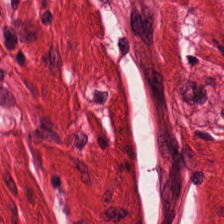H&E stain — Q: What is the predominant tissue type?
A: The field shows smooth muscle.
